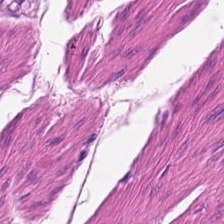Stain: H&E-stained tissue section.
Predominant tissue: smooth-muscle tissue.
